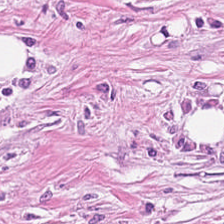Stain: H&E.
Predominant tissue: desmoplastic stroma.
